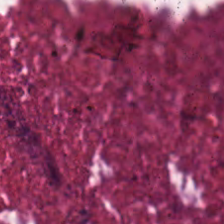H&E — This field is necrotic debris.
